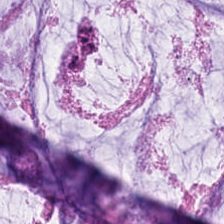FFPE. Hematoxylin and eosin. 224×224 pixel tile.
Showing extracellular mucin.
